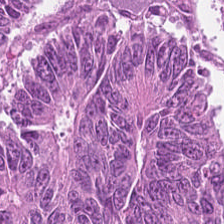224×224 pixel tile. Hematoxylin-and-eosin stained section — This patch shows colorectal adenocarcinoma epithelium.
